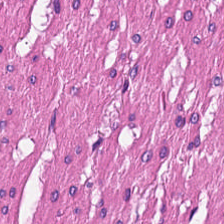H&E stain. 0.5 µm/px. WSI patch — Histology — smooth muscle.
